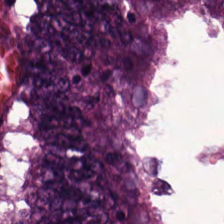Hematoxylin-and-eosin stained section — Impression → adenocarcinoma.
